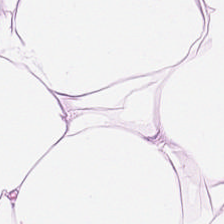Formalin-fixed paraffin-embedded section. H&E. 224×224 pixel tile.
Adipocytes.
